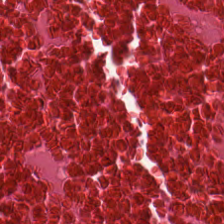Predominant tissue = debris.
